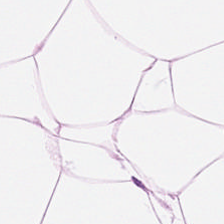H&E-stained tissue section. 224×224 px tile — This patch shows adipocytes.
